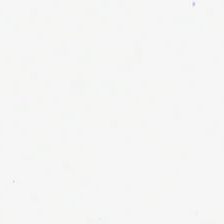Hematoxylin-and-eosin stained section. 0.5 µm per pixel.
{"content": "background"}
